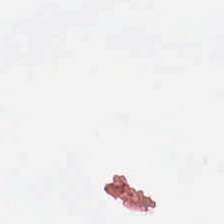Hematoxylin-and-eosin stained section. Q: Classify this patch.
A: The field shows background (no tissue).
